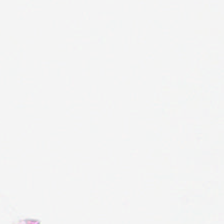This field is background (no tissue).
